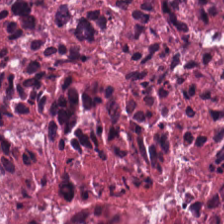Stain: hematoxylin and eosin.
Resolution: 0.5 µm per pixel.
Tissue type: debris.
